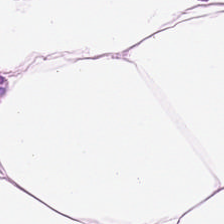H&E stain.
Q: Classify this patch.
A: This is adipose.
